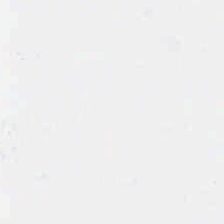Classification: empty background.
